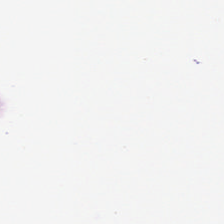H&E stain.
This patch shows background.
